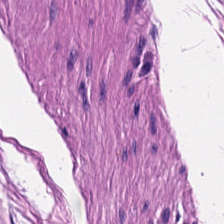Tissue = smooth-muscle tissue.
